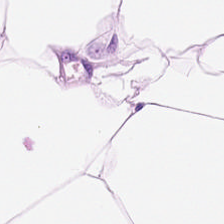FFPE. WSI patch. Hematoxylin-and-eosin stained section.
Impression — adipose tissue.
